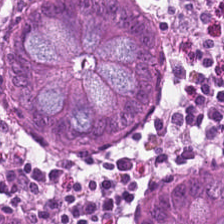H&E — Tissue class — non-neoplastic colon mucosa.
